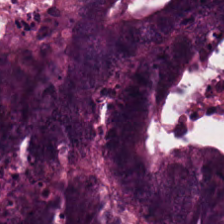Tissue type = colorectal adenocarcinoma epithelium.
